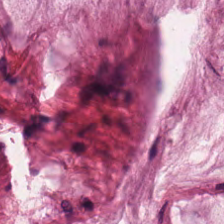Stain: hematoxylin-and-eosin stained section.
Classification: mucus.
